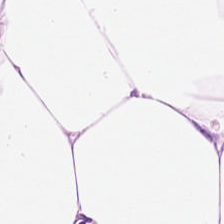Stain: H&E.
Tile size: 224×224 px tile.
Classification: adipocytes.
